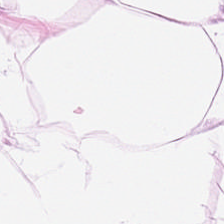H&E-stained tissue section — The tissue here is adipose.
